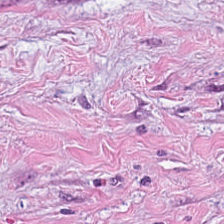Stain: hematoxylin and eosin.
Tile size: 224×224 px patch.
Tissue class: cancer-associated stroma.
